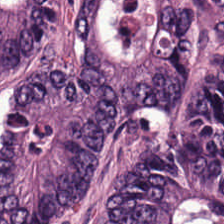0.5 microns per pixel. H&E stain. 224×224 px patch. Tissue type = colorectal adenocarcinoma.
